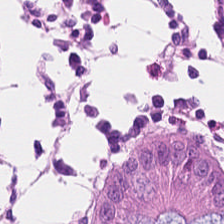Stain: H&E stain.
Classification: non-neoplastic colon mucosa.
